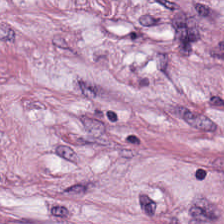Classification — tumor-associated stroma.
